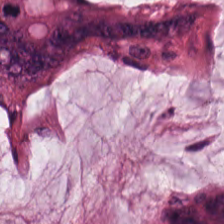Brightfield microscopy; hematoxylin and eosin; 20× equivalent magnification.
Predominantly extracellular mucin.
